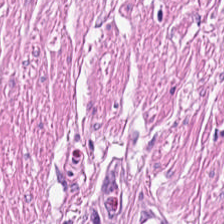Stain: H&E stain.
Tile size: 224×224 px patch.
Predominant tissue: smooth muscle.
